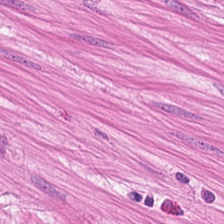H&E.
Tissue type = smooth muscle.
